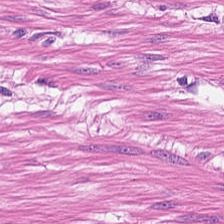Stain: H&E-stained tissue section.
Tissue: muscularis.
